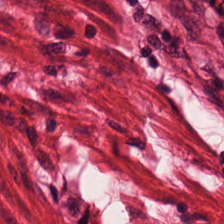H&E-stained tissue section.
Histology — smooth muscle.
